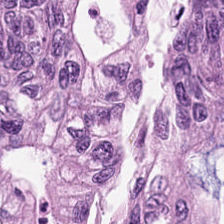Impression — tumor epithelium.
